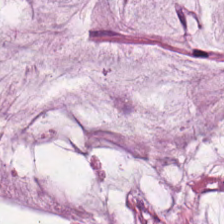H&E-stained tissue section. Impression → mucus.
